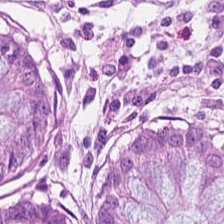Q: What does this patch show?
A: It is non-neoplastic colon mucosa.
